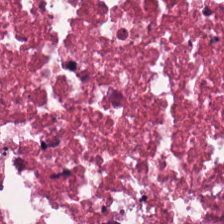Stain: hematoxylin and eosin.
Acquisition: brightfield microscopy.
Tile size: 224×224 pixel tile.
Tissue: cellular debris.
